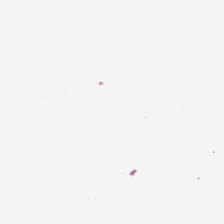Classification — empty background.
